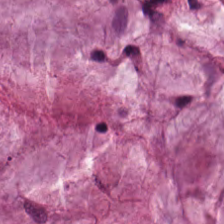This patch shows extracellular mucin.
